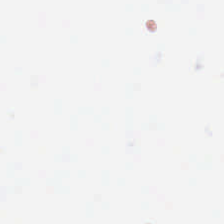Q: What is shown here?
A: The field shows empty background.
